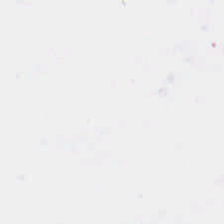224×224 pixel tile; hematoxylin and eosin.
No tissue present; background only.
